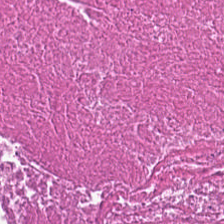H&E-stained tissue section. This patch shows necrotic debris.
